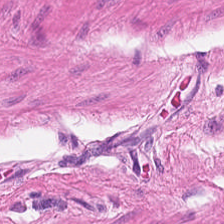Hematoxylin-and-eosin stained section — Smooth muscle.
